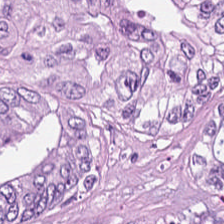H&E stain. Predominant tissue: adenocarcinoma.
